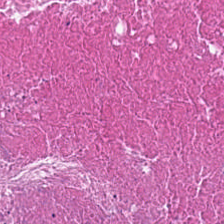H&E-stained tissue section — Classification — cellular debris.
